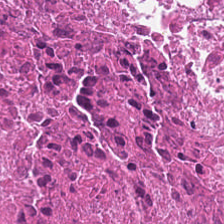Hematoxylin and eosin · brightfield microscopy — Tissue = necrotic debris.
